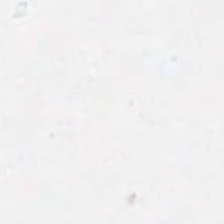Background — no tissue in this field.
